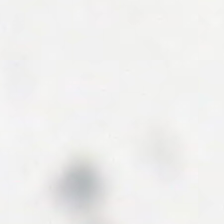Hematoxylin and eosin. Q: What does this patch show?
A: It is no tissue.
